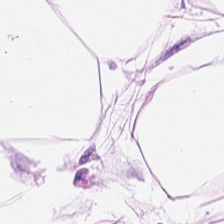Hematoxylin-and-eosin stained section — Tissue — adipose tissue.
